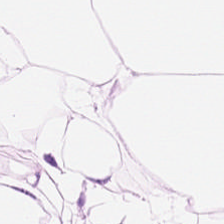H&E stain; FFPE tissue section — The classification is adipose.
